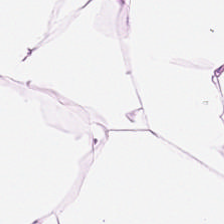FFPE · H&E. Adipose.
